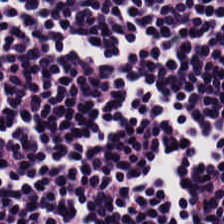Tissue — lymphocytes.
